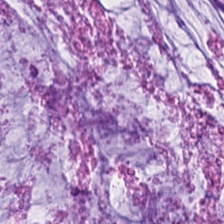H&E-stained tissue section; 224×224 px patch — This patch shows extracellular mucin.
